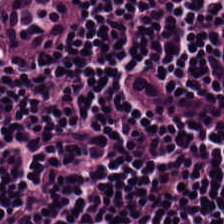0.5 µm per pixel; whole-slide-image patch; hematoxylin-and-eosin stained section. Predominant tissue — lymphocytes.
